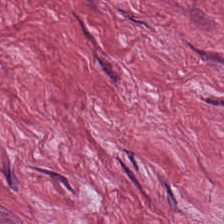H&E stain — The predominant tissue is tumor-associated stroma.
